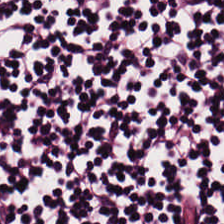Stain: hematoxylin and eosin.
Tissue: lymphocytic infiltrate.
